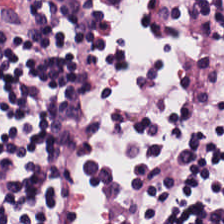H&E — lymphocyte aggregate.
